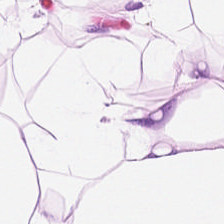H&E stain · FFPE. The tissue type is adipose.
